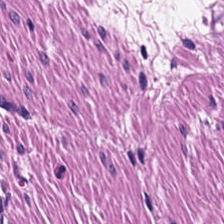Formalin-fixed paraffin-embedded section; hematoxylin and eosin — Predominant tissue — smooth muscle.
